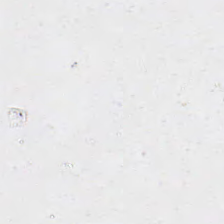Hematoxylin-and-eosin stained section.
Impression → background (no tissue).
